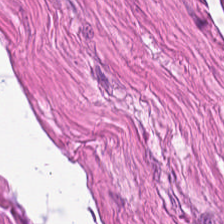Brightfield microscopy · H&E.
The predominant tissue is muscularis.
